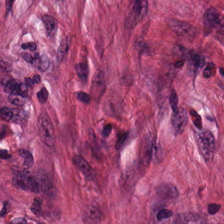H&E-stained tissue section. Showing tumor-associated stroma.
